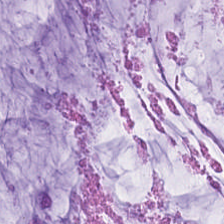Mucin.
